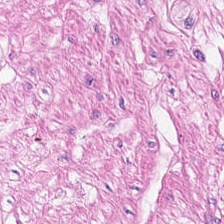H&E stain — Showing muscularis.
